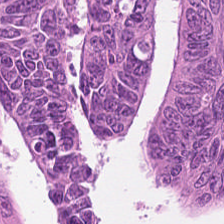H&E-stained tissue section.
Tissue type — colorectal adenocarcinoma epithelium.
